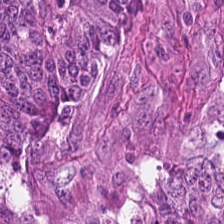H&E-stained tissue section. Showing adenocarcinoma.
